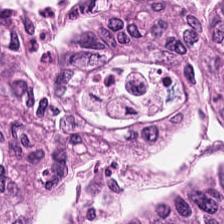Hematoxylin-and-eosin stained section.
Classification = adenocarcinoma.
